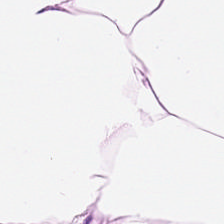Stain: hematoxylin-and-eosin stained section.
Tile size: 224×224 pixel tile.
Predominant tissue: fat tissue.
